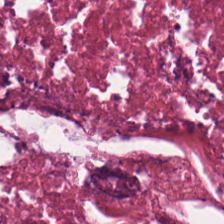Whole-slide-image patch. 0.5 µm per pixel. Hematoxylin and eosin — Q: What tissue type is shown here?
A: The field shows necrotic debris.
